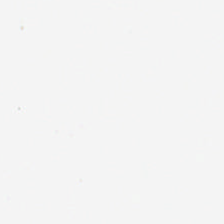H&E-stained tissue section. No tissue.
